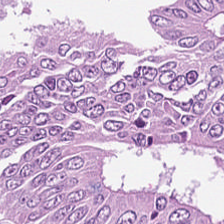H&E · 224×224 px patch.
Showing colorectal adenocarcinoma epithelium.
